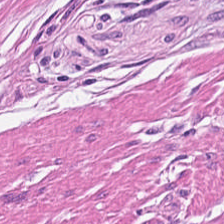H&E. The tissue type is smooth muscle.
